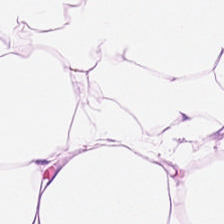Stain: H&E.
Tissue: adipocytes.
